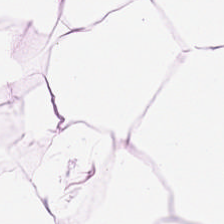Hematoxylin-and-eosin stained section · 224×224 px patch. Classification — fat tissue.
